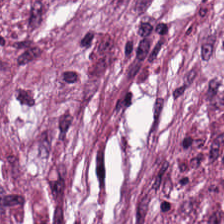Brightfield microscopy; H&E stain; 224×224 pixel tile.
The tissue type is tumor stroma.
